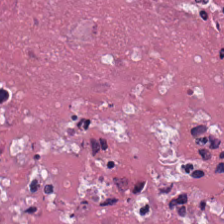Hematoxylin-and-eosin stained section.
This patch shows cellular debris.
